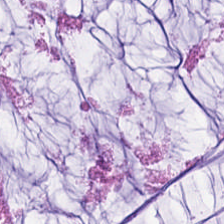Q: What is the predominant tissue type?
A: It is mucus.
